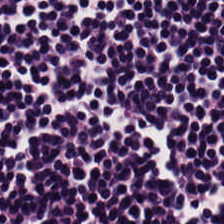FFPE; H&E. Lymphocyte aggregate.
